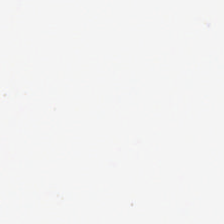H&E stain — Field content — background (no tissue).
